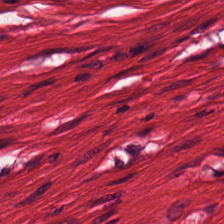Stain: hematoxylin-and-eosin stained section.
Tissue class: smooth-muscle tissue.
